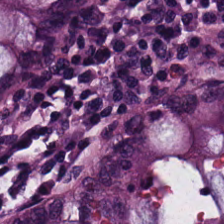Stain: hematoxylin-and-eosin stained section.
Tissue: benign colonic mucosa.
